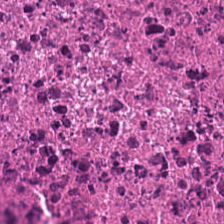Classification — cellular debris.
